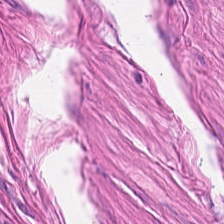Hematoxylin and eosin. {"tissue_type": "smooth-muscle tissue"}
